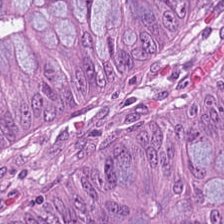Hematoxylin-and-eosin stained section — Finding — tumor epithelium.
